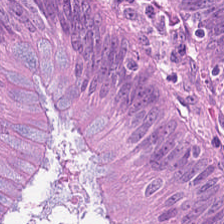H&E-stained tissue section — Predominant tissue = adenocarcinoma.
